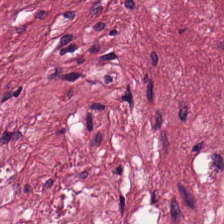H&E — This field is tumor stroma.
